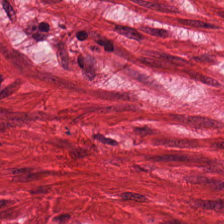Hematoxylin and eosin — The tissue here is smooth muscle.
